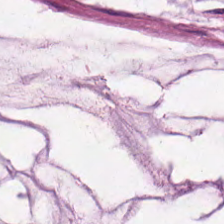224×224 px patch. H&E.
Predominantly mucin.
